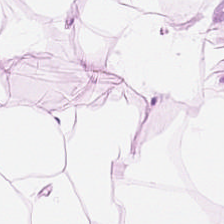Brightfield microscopy; 20× equivalent magnification; H&E — Q: What does this patch show?
A: It is adipose.
